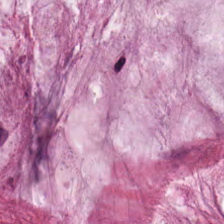FFPE. H&E. Tissue class: mucin.
